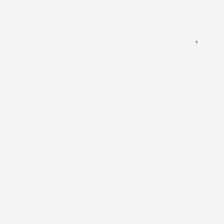Hematoxylin and eosin.
Finding → empty background.
